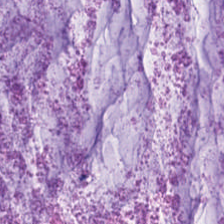Hematoxylin-and-eosin stained section. This patch shows mucus.
